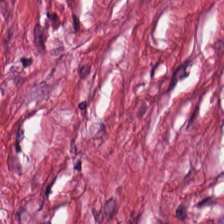Hematoxylin-and-eosin stained section; FFPE tissue section — Showing desmoplastic stroma.
